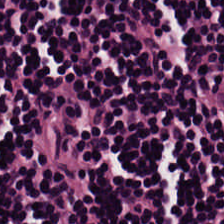Brightfield microscopy; H&E stain; FFPE tissue section — Q: What does this patch show?
A: The field shows lymphocytic infiltrate.
